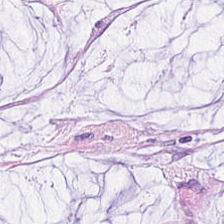H&E-stained tissue section.
Tissue type: mucus.
